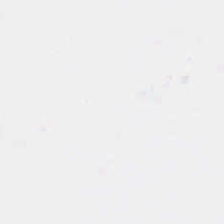Hematoxylin and eosin; brightfield. This field is background (no tissue).
